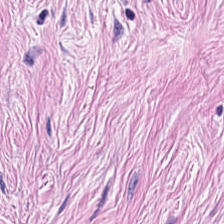H&E stain. Desmoplastic stroma.
